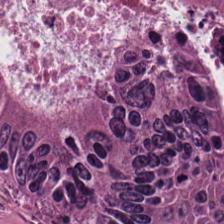Hematoxylin-and-eosin stained section — Histology → malignant epithelium.
